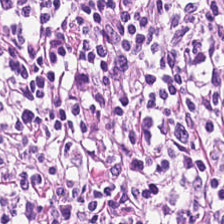H&E. FFPE tissue section — The tissue here is lymphoid infiltrate.
